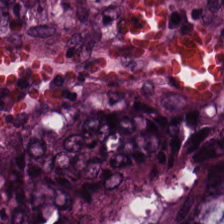224×224 px patch. H&E — Predominant tissue: colorectal adenocarcinoma.
